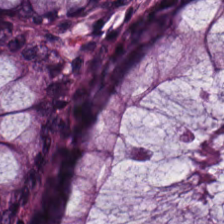Normal colonic mucosa.
